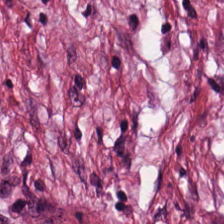H&E — The classification is tumor-associated stroma.
